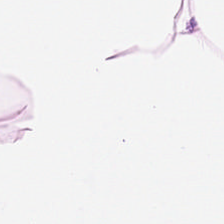H&E. 224×224 px patch. 0.5 µm per pixel — {"tissue_type": "adipose"}
